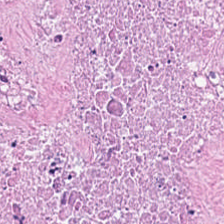{"tissue_type": "cellular debris"}
